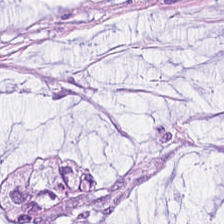Hematoxylin-and-eosin stained section.
Showing extracellular mucin.
